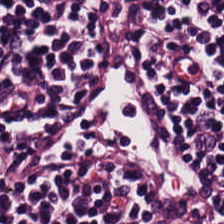224×224 px patch · H&E.
{"tissue_type": "lymphocyte aggregate"}
